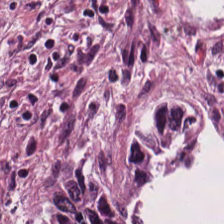Hematoxylin-and-eosin stained section.
{"tissue_type": "colorectal adenocarcinoma epithelium"}
